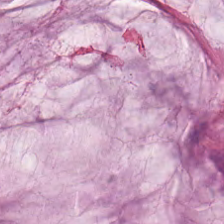H&E stain; 0.5 microns per pixel — Predominantly extracellular mucin.
